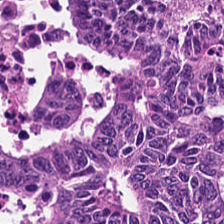Stain: hematoxylin and eosin.
Tile size: 224×224 pixel tile.
Preparation: FFPE.
Tissue class: malignant epithelium.
